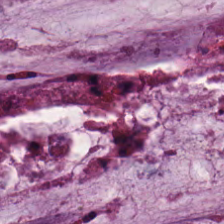H&E-stained tissue section · 224×224 px tile. This patch shows mucin.
